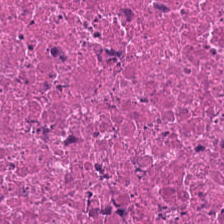Hematoxylin-and-eosin stained section.
Impression → debris.
